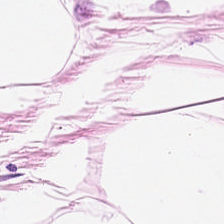Hematoxylin-and-eosin stained section; brightfield. Tissue type = fat tissue.
